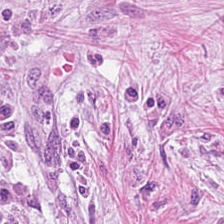H&E — desmoplastic stroma.
